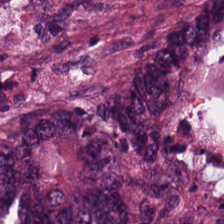H&E stain.
Finding — tumor epithelium.
